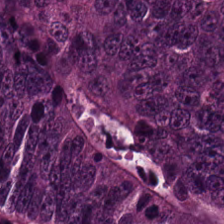Q: Classify this patch.
A: It is tumor epithelium.
